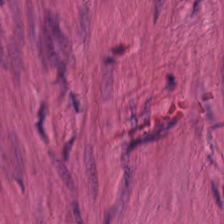This field is smooth muscle.
